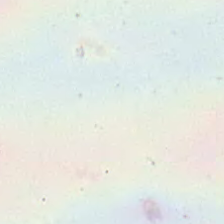{"content": "background"}
